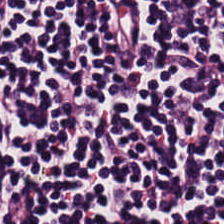Hematoxylin-and-eosin section: lymphocytes.
